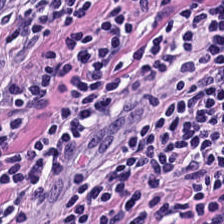Stain: H&E.
Acquisition: brightfield microscopy.
Tissue type: lymphocyte aggregate.
